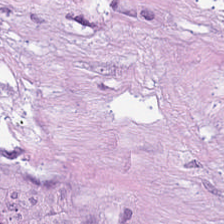Tissue — cancer-associated stroma.
